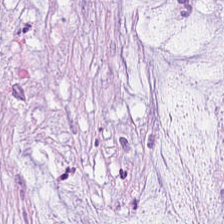H&E stain.
Q: Classify this patch.
A: This is mucus.
